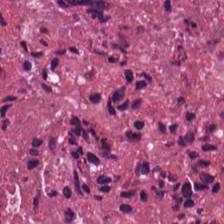H&E stain.
This patch shows necrotic debris.
